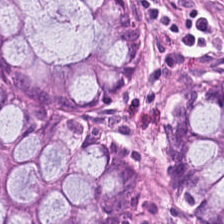Hematoxylin and eosin — Impression — normal colonic mucosa.
